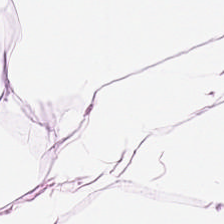Hematoxylin-and-eosin stained section — Tissue class: adipose.
